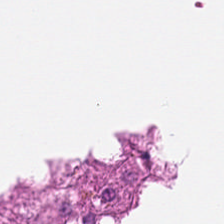H&E.
Q: What does this patch show?
A: This is no tissue.
